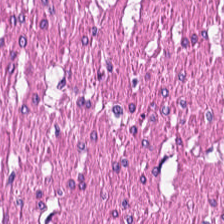H&E-stained tissue section — Predominantly muscularis.
